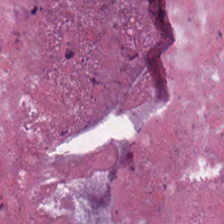Stain: H&E.
Classification: necrotic debris.
